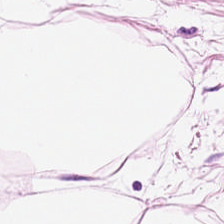H&E stain — {"tissue_type": "adipose tissue"}
